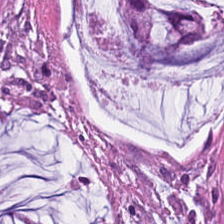Impression → mucin.
